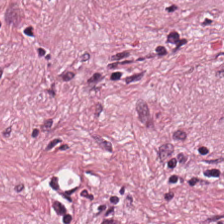H&E stain; 0.5 µm/px.
Showing tumor-associated stroma.
